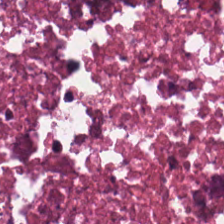Classification = necrotic debris.
